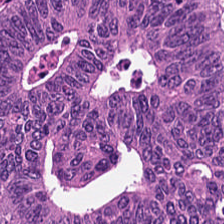FFPE tissue section; H&E; 224×224 pixel tile. Q: What tissue type is shown here?
A: This is colorectal adenocarcinoma.
